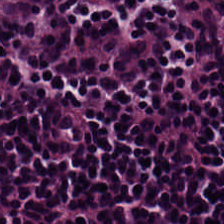{"tissue_type": "lymphocyte aggregate"}
